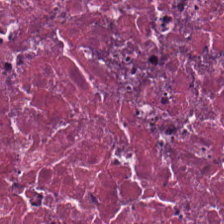H&E patch showing cellular debris.
